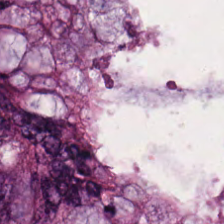H&E — extracellular mucin.
